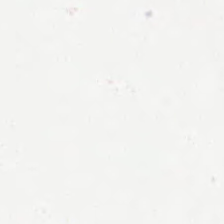H&E — Histology — empty background.
